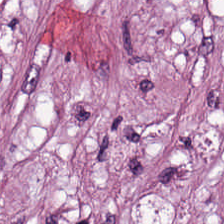Classification = tumor-associated stroma.
